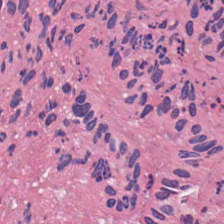FFPE. H&E stain.
Showing debris.
